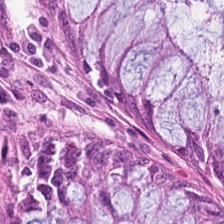Stain: hematoxylin and eosin.
Classification: normal colon mucosa.
